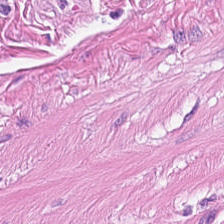Impression — smooth-muscle tissue.
